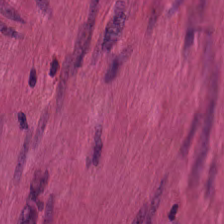H&E-stained tissue section. The predominant tissue is muscularis.
